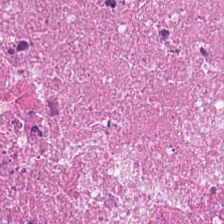Hematoxylin and eosin.
Predominantly debris.
